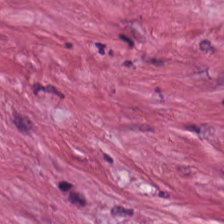Q: What is the predominant tissue type?
A: The field shows desmoplastic stroma.
